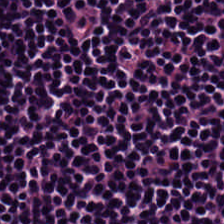Tissue type — lymphocyte aggregate.
